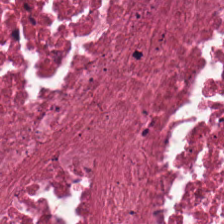Formalin-fixed paraffin-embedded section · whole-slide-image patch · hematoxylin and eosin — Histology → cellular debris.
